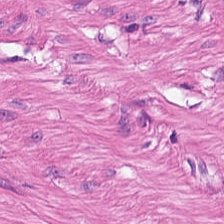Stain: hematoxylin and eosin.
Tissue: smooth-muscle tissue.
